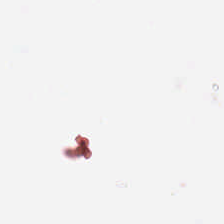20× equivalent magnification · hematoxylin and eosin.
Content: background.
